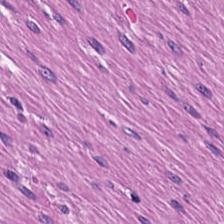Hematoxylin-and-eosin stained section. Predominantly muscularis.
